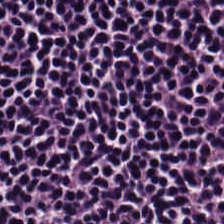This field is lymphocytic infiltrate.
